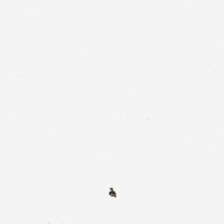Stain: hematoxylin-and-eosin stained section.
Acquisition: WSI patch.
Classification: empty background.
